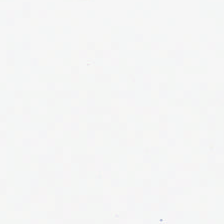Classification: background.
